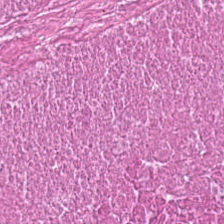Showing cellular debris.
